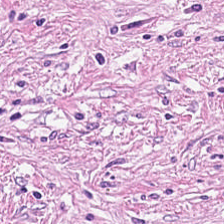H&E — The tissue here is cancer-associated stroma.
